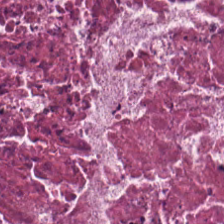FFPE tissue section; 224×224 px patch; H&E-stained tissue section.
This patch shows cellular debris.
